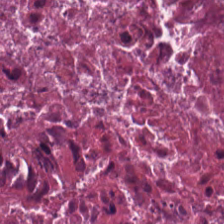Tissue type: debris.
